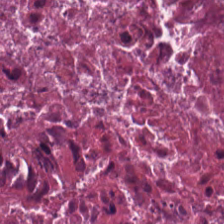Tissue type: debris.
